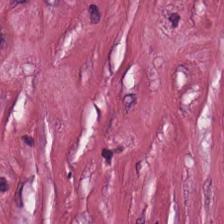Histology → cancer-associated stroma.
